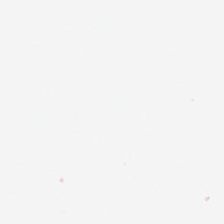Q: What does this patch show?
A: The field shows background (no tissue).
